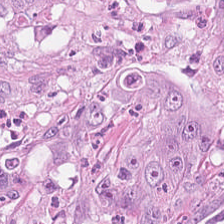Hematoxylin-and-eosin stained section. 0.5 µm per pixel. Showing colorectal adenocarcinoma epithelium.
